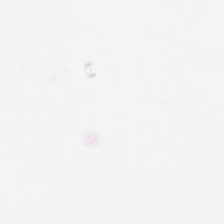This patch shows background (no tissue).
